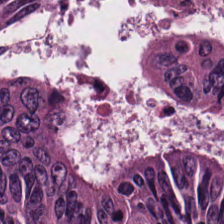H&E stain · 224×224 px patch — Tissue — adenocarcinoma.
